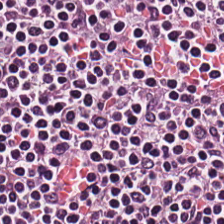The tissue type is lymphocytes.
